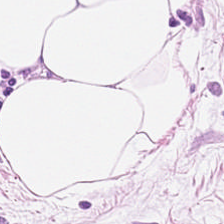Stain: hematoxylin-and-eosin stained section.
Tissue class: adipocytes.
